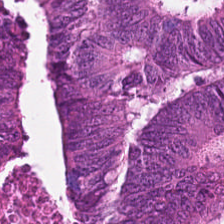{"tissue_type": "colorectal adenocarcinoma"}
